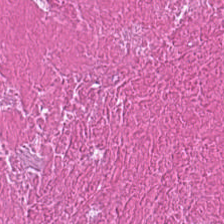H&E stain.
The tissue is cellular debris.
